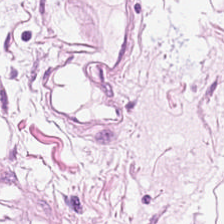Brightfield microscopy. H&E — Tissue type: adipose.
